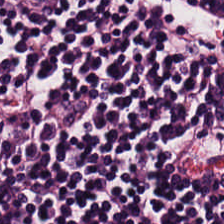224×224 pixel tile. H&E stain. Brightfield. Q: What is shown here?
A: Lymphocyte aggregate.
